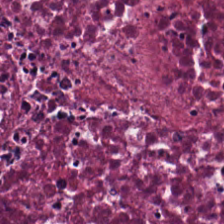0.5 microns per pixel · hematoxylin-and-eosin stained section · FFPE. This patch shows debris.
